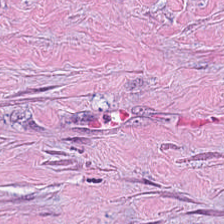FFPE · hematoxylin-and-eosin stained section. Classification: cancer-associated stroma.
